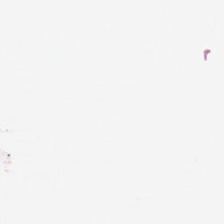Stain: H&E.
Acquisition: brightfield.
Field content: background (no tissue).
